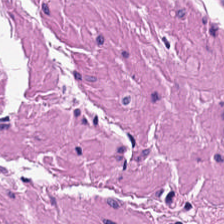WSI patch. H&E stain — Q: What does this patch show?
A: The field shows muscularis.
